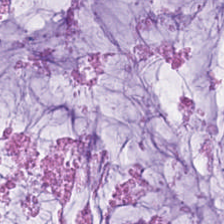H&E patch showing extracellular mucin.
